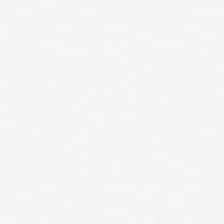Hematoxylin-and-eosin stained section; 224×224 px tile.
Background — no tissue in this field.
